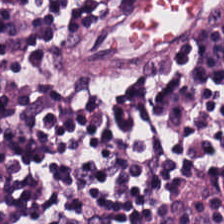Stain: H&E-stained tissue section.
Tissue type: lymphoid infiltrate.
